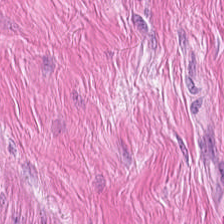Brightfield; H&E-stained tissue section; 0.5 µm/px — Smooth muscle.
